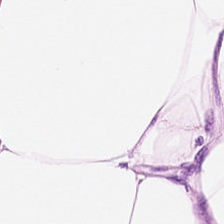WSI patch; H&E. This field is adipocytes.
